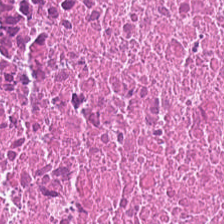Tissue — debris.
